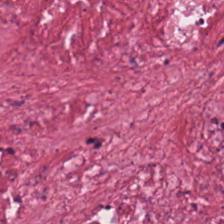224×224 px tile · H&E stain.
The tissue here is cancer-associated stroma.
